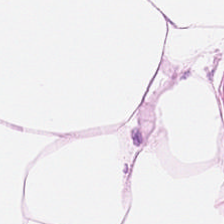WSI patch; hematoxylin and eosin; formalin-fixed paraffin-embedded section — Tissue — adipose tissue.
